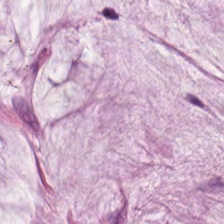H&E stain.
Showing mucin.
